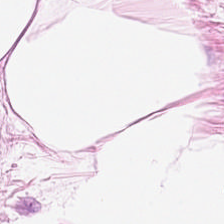H&E stain; formalin-fixed paraffin-embedded section — Impression → adipose.
